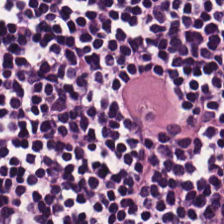H&E stain — Q: What tissue type is shown here?
A: It is lymphocytic infiltrate.
